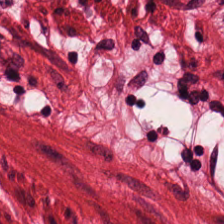H&E-stained tissue section.
Histology → smooth muscle.
